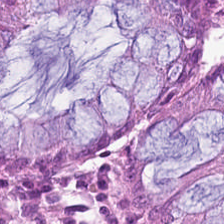Hematoxylin-and-eosin stained section; FFPE.
This patch shows benign colonic mucosa.
